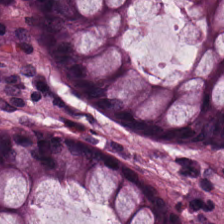FFPE tissue section. H&E stain.
Normal colon mucosa.
